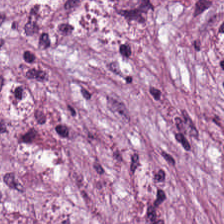Hematoxylin and eosin. This patch shows tumor stroma.
